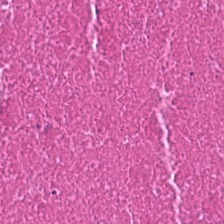Tissue type: debris.
